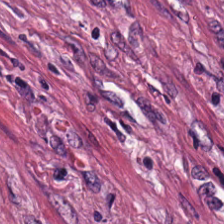Tumor stroma.
